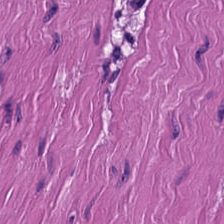H&E-stained tissue section; formalin-fixed paraffin-embedded section. This field is smooth muscle.
